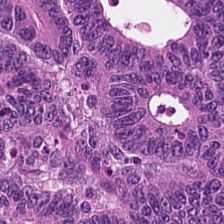H&E-stained section; the field shows colorectal adenocarcinoma.
